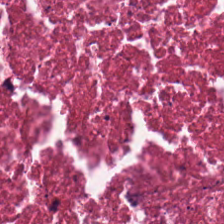Stain: H&E stain.
Resolution: 0.5 µm/px.
Acquisition: whole-slide-image patch.
Tissue: necrotic debris.
